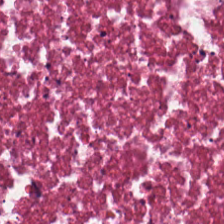Hematoxylin-and-eosin stained section. 224×224 px tile. 0.5 µm per pixel — Tissue type — debris.
